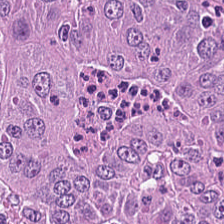224×224 px patch. Hematoxylin-and-eosin stained section.
Tumor epithelium.
